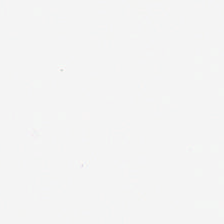Stain: hematoxylin and eosin.
Classification: background (no tissue).
